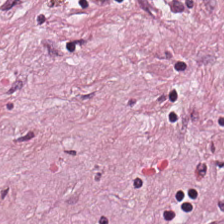H&E-stained tissue section — {"tissue_type": "tumor stroma"}
